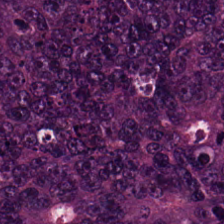Tissue class = colorectal adenocarcinoma epithelium.
